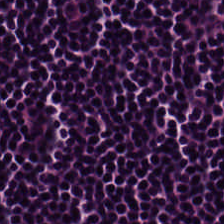Impression — lymphocytic infiltrate.
